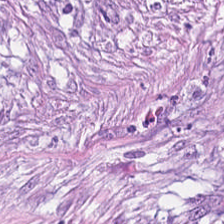H&E stain; 224×224 px patch; FFPE tissue section. Tumor-associated stroma.
